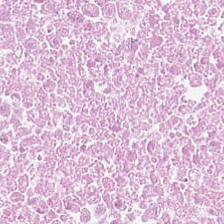FFPE tissue section. 0.5 µm per pixel. H&E stain — Necrotic debris.
